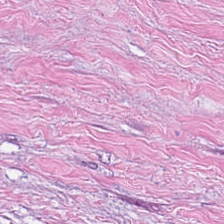Impression → cancer-associated stroma.
